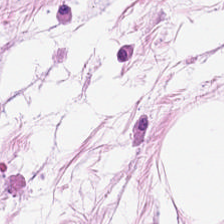0.5 µm per pixel. Hematoxylin-and-eosin stained section. Brightfield.
Showing fat tissue.
